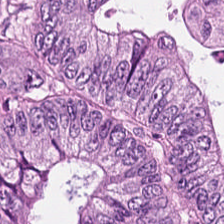FFPE tissue section. Hematoxylin-and-eosin stained section.
Q: What is shown here?
A: Colorectal adenocarcinoma.
